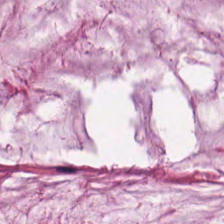The tissue here is mucus.
